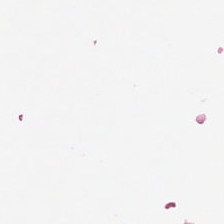Stain: H&E.
Classification: empty background.
